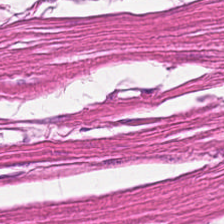H&E-stained tissue section.
Showing smooth-muscle tissue.
